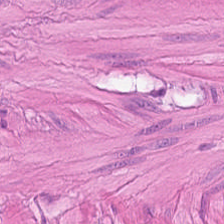Tissue: muscularis.
